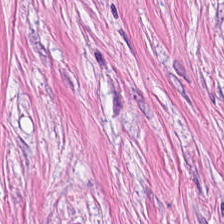This patch shows cancer-associated stroma.
